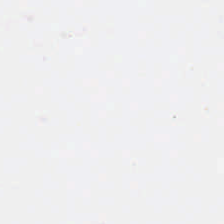H&E stain. {"content": "no tissue"}
